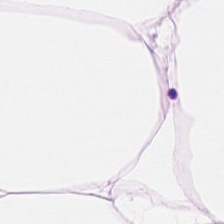H&E stain.
Classification: adipocytes.
